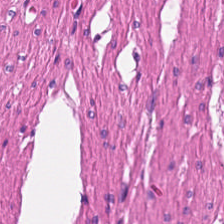224×224 pixel tile · 0.5 microns per pixel · H&E-stained tissue section.
Q: What is shown here?
A: The field shows smooth-muscle tissue.
